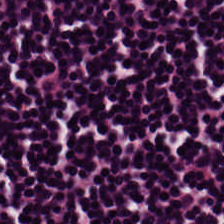This field is lymphocytes.
